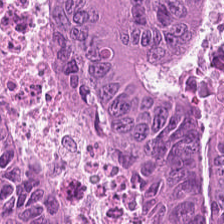H&E.
{"tissue_type": "adenocarcinoma"}
